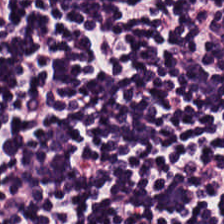Stain: H&E.
Classification: lymphocytes.
